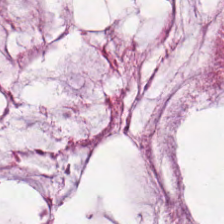Hematoxylin-and-eosin stained section. {"tissue_type": "extracellular mucin"}
